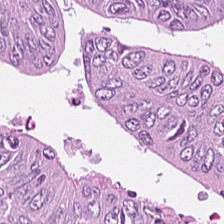20× equivalent magnification. 224×224 px patch. Hematoxylin-and-eosin stained section.
Malignant epithelium.
